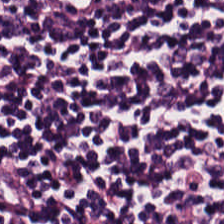This field is lymphocyte aggregate.
